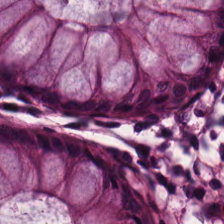Stain: hematoxylin and eosin.
Preparation: formalin-fixed paraffin-embedded section.
Tissue: normal colon mucosa.
